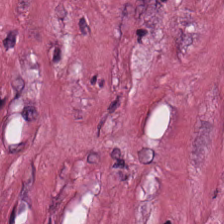H&E-stained tissue section — The tissue is desmoplastic stroma.
